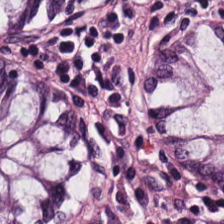H&E stain.
The tissue type is benign colonic mucosa.
